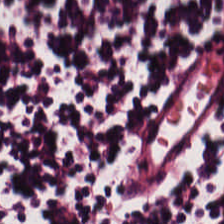0.5 microns per pixel · hematoxylin and eosin.
The tissue here is lymphocytic infiltrate.
